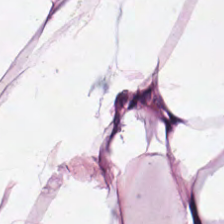224×224 px tile · hematoxylin and eosin.
Classification = fat tissue.
